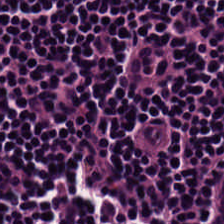Q: Identify the tissue.
A: The field shows lymphocyte aggregate.
